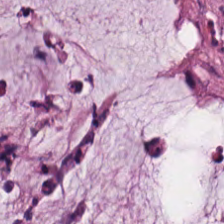224×224 px patch · H&E-stained tissue section · brightfield microscopy.
Tissue class — mucin.
